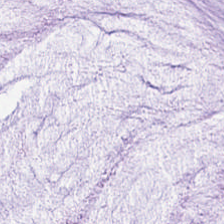H&E — mucin.
